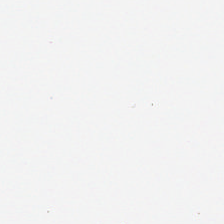Stain: H&E-stained tissue section.
Tile size: 224×224 pixel tile.
Resolution: 0.5 µm/px.
Classification: empty background.
